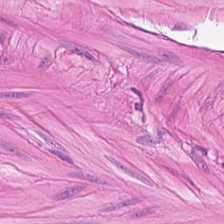The classification is smooth muscle.
